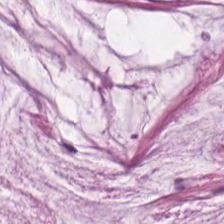Tissue class = mucin.
